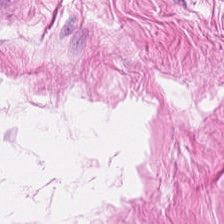H&E-stained tissue section; 0.5 µm/px; formalin-fixed paraffin-embedded section — Showing muscularis.
